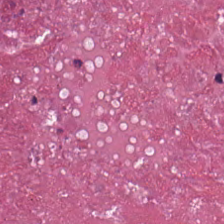Hematoxylin-and-eosin stained section — Finding — cellular debris.
